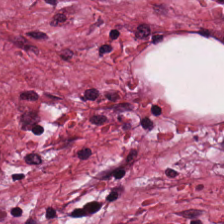The predominant tissue is cancer-associated stroma.
